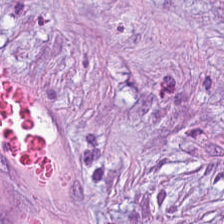H&E-stained tissue section. Formalin-fixed paraffin-embedded section. Q: Classify this patch.
A: The field shows tumor stroma.
